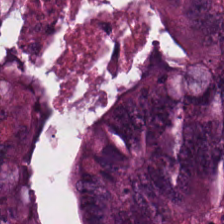H&E — Finding — malignant epithelium.
